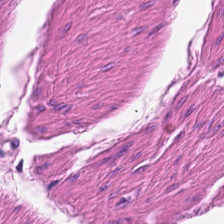224×224 px patch. H&E stain — Showing muscularis.
